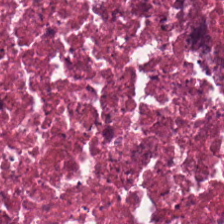Histology — necrotic debris.
